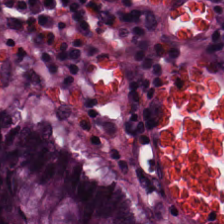H&E.
Impression → normal colon mucosa.
